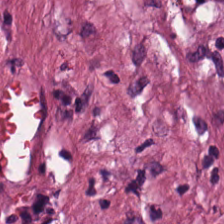Classification: cellular debris.
